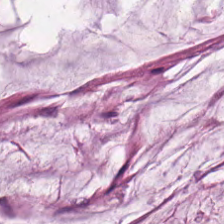Stain: H&E.
Acquisition: whole-slide-image patch.
Resolution: 0.5 microns per pixel.
Tissue type: extracellular mucin.
